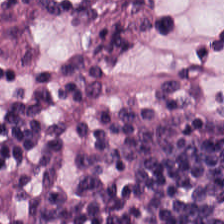Hematoxylin-and-eosin stained section.
Histology → lymphocyte aggregate.
